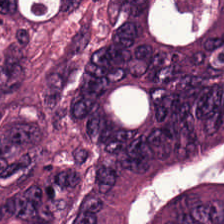Hematoxylin-and-eosin stained section.
Q: What tissue type is shown here?
A: This is colorectal adenocarcinoma.
